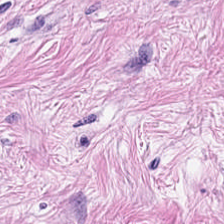H&E stain — This patch shows desmoplastic stroma.
